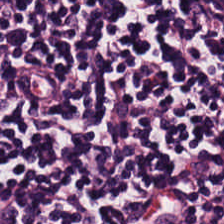H&E-stained tissue section. 20× equivalent magnification. Q: What type of tissue is this?
A: Lymphocyte aggregate.
